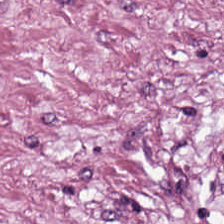H&E-stained tissue section.
The tissue here is cancer-associated stroma.
